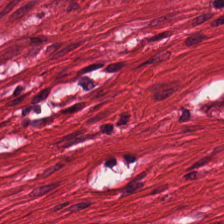H&E stain — Tissue: muscularis.
